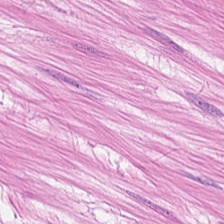H&E-stained tissue section.
Predominantly smooth-muscle tissue.
